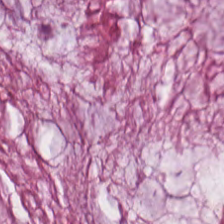Hematoxylin-and-eosin stained section. This field is mucin.
